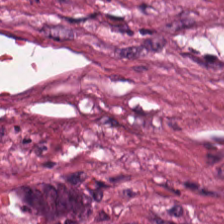H&E. 0.5 microns per pixel.
Showing cellular debris.
